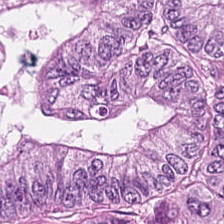Showing adenocarcinoma.
